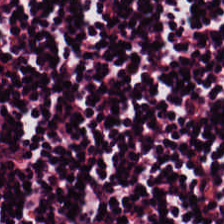Stain: H&E.
Predominant tissue: lymphocyte aggregate.
